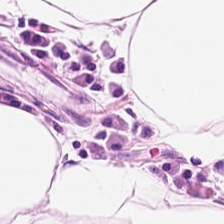Hematoxylin-and-eosin section: adipocytes.
